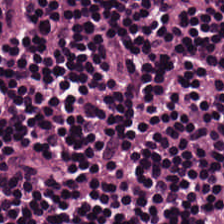Stain: H&E stain.
Tissue class: lymphocytic infiltrate.
